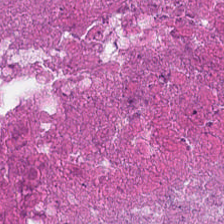H&E-stained tissue section.
This field is necrotic debris.
